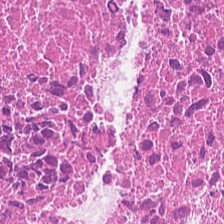WSI patch. Hematoxylin-and-eosin stained section. 224×224 pixel tile. Predominantly debris.
